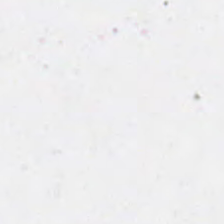Empty field — no tissue.
